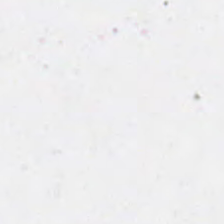Empty field — no tissue.
